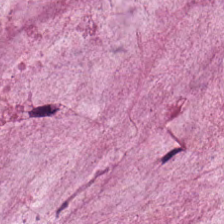H&E-stained tissue section — This patch shows extracellular mucin.
